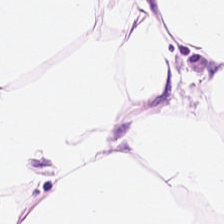H&E-stained tissue section — Tissue type: adipocytes.
